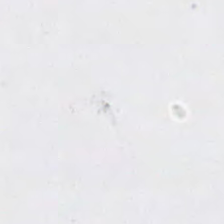The content is background.
